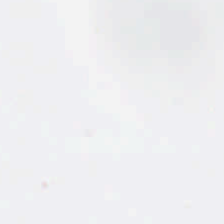Stain: hematoxylin-and-eosin stained section.
Content: background.
